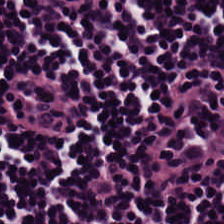Q: What is shown here?
A: Lymphocytes.
